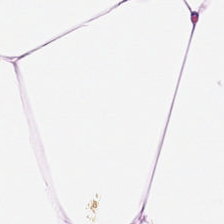FFPE. H&E-stained tissue section. Showing adipose.
